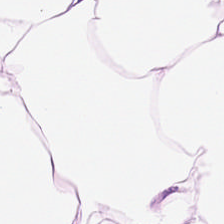224×224 px tile; H&E; 0.5 microns per pixel.
Predominant tissue = fat tissue.
